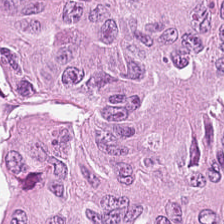H&E. Colorectal adenocarcinoma.
